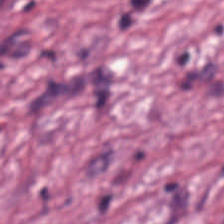H&E stain. Q: What is shown in this field?
A: The field shows cancer-associated stroma.
